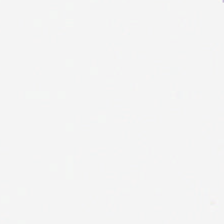No tissue present; background only.
